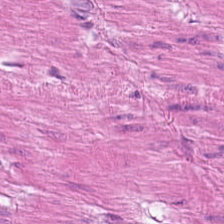Whole-slide-image patch; H&E-stained tissue section.
Q: What type of tissue is this?
A: Muscularis.
